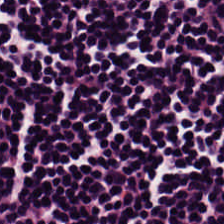0.5 µm/px. Hematoxylin-and-eosin stained section.
Q: What is shown in this field?
A: Lymphocytic infiltrate.
